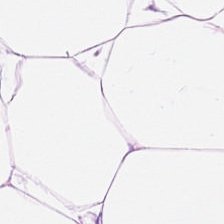Brightfield microscopy · FFPE · H&E stain — Tissue — adipocytes.
